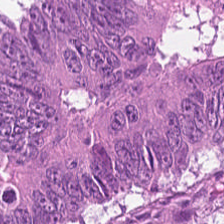Stain: H&E stain.
Acquisition: brightfield.
Tile size: 224×224 pixel tile.
Tissue: adenocarcinoma.
